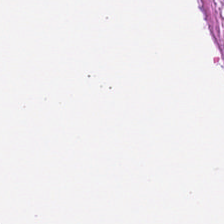WSI patch · FFPE · H&E stain — Tissue class: smooth muscle.
